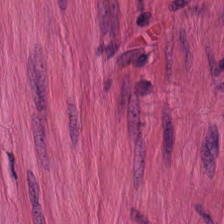Hematoxylin-and-eosin stained section · 0.5 µm/px.
Q: Identify the tissue.
A: Smooth-muscle tissue.
